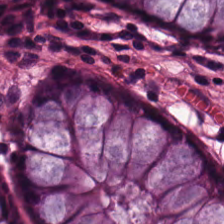H&E — Tissue: normal colon mucosa.
